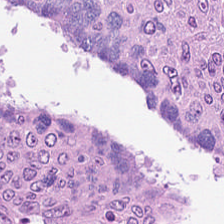FFPE. H&E-stained tissue section. This field is colorectal adenocarcinoma epithelium.
